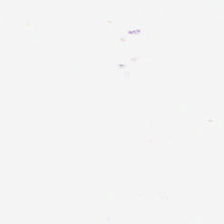Empty field — empty background.
